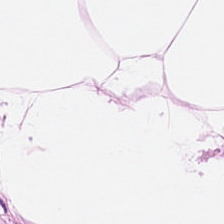H&E.
Q: What does this patch show?
A: It is fat tissue.
